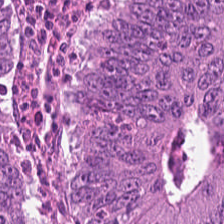H&E. 224×224 pixel tile.
The predominant tissue is adenocarcinoma.
